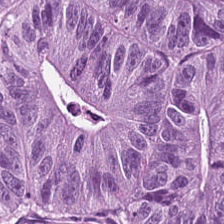H&E-stained tissue section — Q: What is the predominant tissue type?
A: Colorectal adenocarcinoma epithelium.
